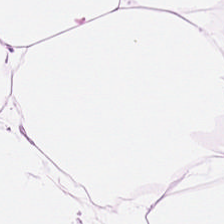Hematoxylin-and-eosin section: adipose tissue.
